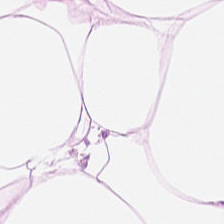Stain: H&E-stained tissue section.
Tissue class: adipose.
